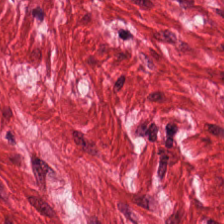H&E-stained tissue section. Q: What tissue is shown?
A: This is smooth muscle.
